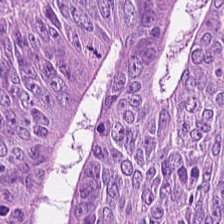224×224 pixel tile; H&E stain; formalin-fixed paraffin-embedded section.
{"tissue_type": "tumor epithelium"}
